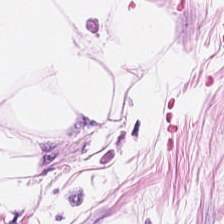H&E stain. 20× equivalent magnification.
Tissue class: adipose.
